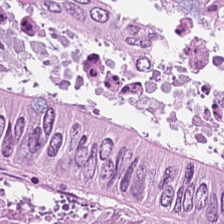H&E. {"tissue_type": "colorectal adenocarcinoma epithelium"}
